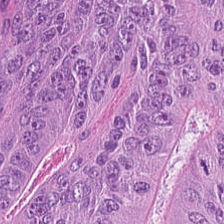20× equivalent magnification · 224×224 px patch · H&E — Tissue = colorectal adenocarcinoma.
